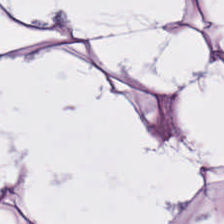H&E — Showing adipose.
